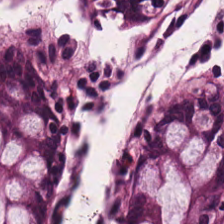H&E-stained tissue section. Q: Identify the tissue.
A: It is normal colon mucosa.
